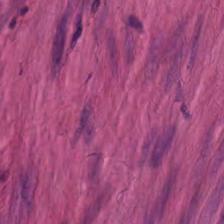Formalin-fixed paraffin-embedded section. Hematoxylin-and-eosin stained section.
Predominantly muscularis.
